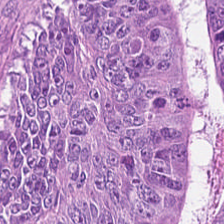Hematoxylin and eosin.
Predominantly malignant epithelium.
